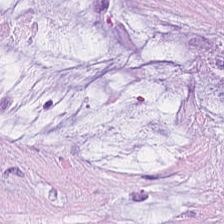Hematoxylin and eosin · 224×224 pixel tile — Q: What tissue is shown?
A: The field shows mucus.
